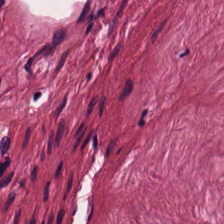Hematoxylin and eosin.
Classification: desmoplastic stroma.
